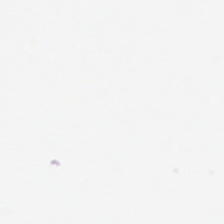Q: What does this patch show?
A: This is background (no tissue).
